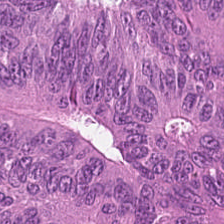Hematoxylin-and-eosin stained section · WSI patch · 224×224 pixel tile.
Colorectal adenocarcinoma.
